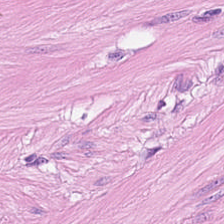H&E stain.
Predominantly smooth-muscle tissue.
